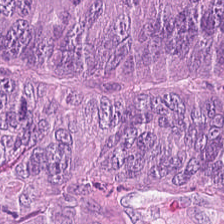0.5 µm per pixel · H&E — This field is tumor epithelium.
